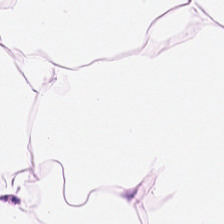The tissue here is adipocytes.
